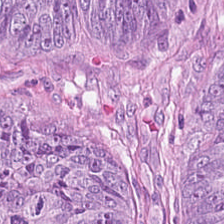Hematoxylin-and-eosin stained section. Whole-slide-image patch. Formalin-fixed paraffin-embedded section — This patch shows colorectal adenocarcinoma epithelium.
